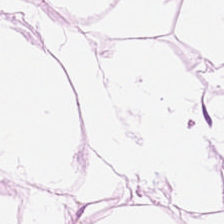Hematoxylin and eosin.
The tissue here is adipose.
